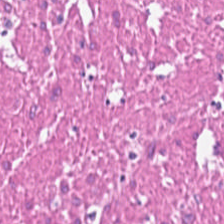H&E-stained tissue section. {"tissue_type": "smooth muscle"}
